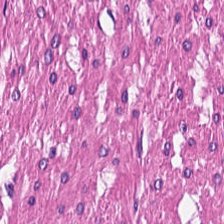0.5 microns per pixel · hematoxylin and eosin — Q: What tissue type is shown here?
A: Smooth-muscle tissue.
